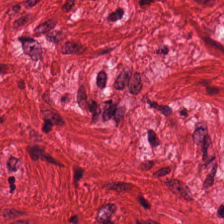Hematoxylin and eosin. Tissue — smooth muscle.
